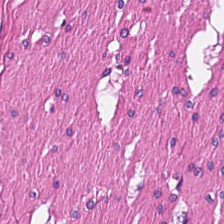H&E. Q: What is shown here?
A: The field shows smooth muscle.
